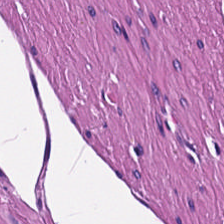Hematoxylin-and-eosin stained section.
Tissue — muscularis.
